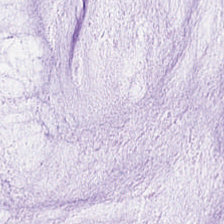H&E stain.
{"tissue_type": "extracellular mucin"}
